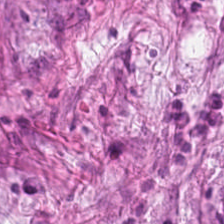H&E. Desmoplastic stroma.
